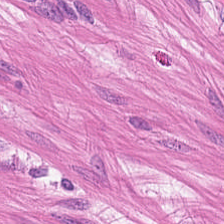H&E-stained tissue section — This patch shows muscularis.
